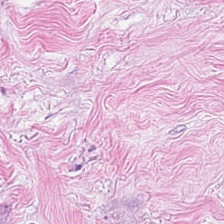Hematoxylin and eosin — Predominant tissue: tumor stroma.
